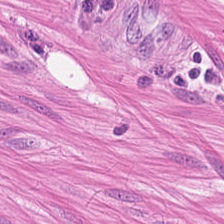H&E — Classification — smooth muscle.
